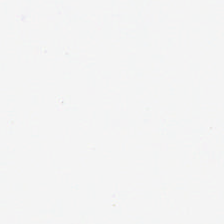Stain: H&E.
Field content: empty background.
